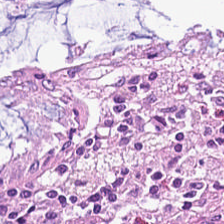Stain: H&E.
Preparation: formalin-fixed paraffin-embedded section.
Classification: benign colonic mucosa.
